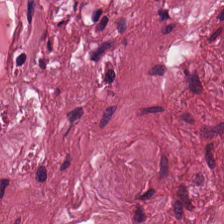Hematoxylin and eosin. The predominant tissue is cancer-associated stroma.
